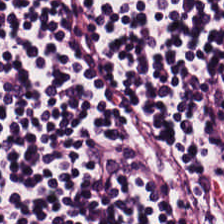Histology — lymphocyte aggregate.
